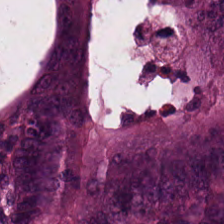Hematoxylin-and-eosin stained section · whole-slide-image patch · formalin-fixed paraffin-embedded section. Tissue type = adenocarcinoma.
